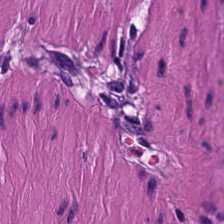0.5 µm/px; hematoxylin-and-eosin stained section.
This field is muscularis.
